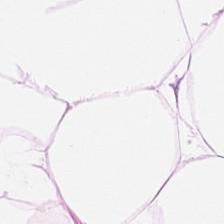Stain: hematoxylin-and-eosin stained section.
Predominant tissue: adipose tissue.
